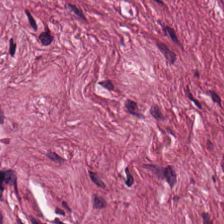H&E.
Showing cancer-associated stroma.
